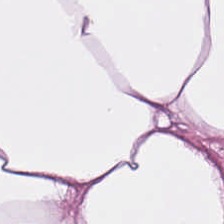FFPE tissue section · H&E stain — {"tissue_type": "fat tissue"}
